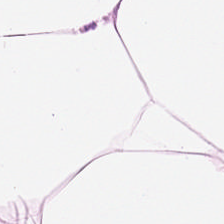H&E · FFPE tissue section.
This patch shows adipose.
